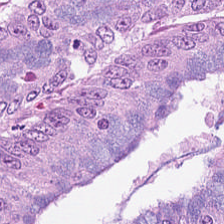224×224 px tile; hematoxylin-and-eosin stained section — {"tissue_type": "colorectal adenocarcinoma"}
